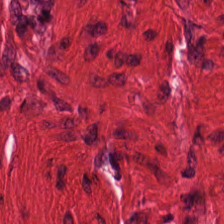20× equivalent magnification; H&E stain — Q: What is shown in this field?
A: Muscularis.
